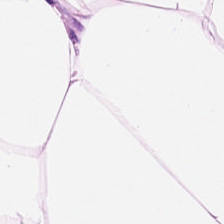Q: What is shown in this field?
A: The field shows adipose tissue.
